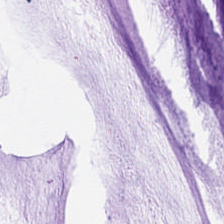Q: Classify this patch.
A: It is mucus.
